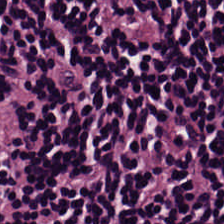Stain: H&E-stained tissue section.
Tile size: 224×224 px patch.
Acquisition: brightfield.
Tissue class: lymphocytic infiltrate.
